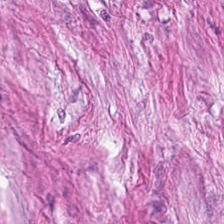H&E-stained tissue section — The tissue is tumor-associated stroma.
